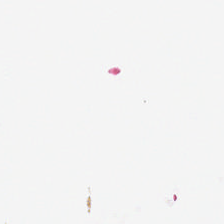0.5 µm per pixel. 224×224 pixel tile. Hematoxylin-and-eosin stained section. Empty field — background (no tissue).
